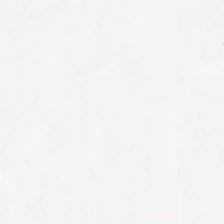H&E stain.
Q: What does this patch show?
A: The field shows no tissue.
